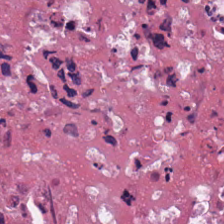Stain: hematoxylin and eosin.
Resolution: 0.5 µm per pixel.
Acquisition: brightfield microscopy.
Tissue class: cellular debris.
